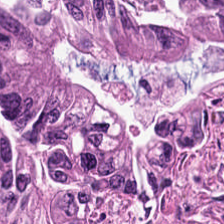Showing colorectal adenocarcinoma epithelium.
